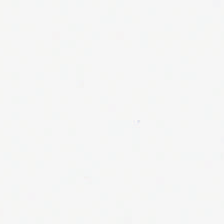H&E. Classification = no tissue.
